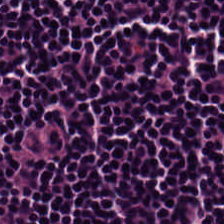Stain: H&E stain.
Resolution: 0.5 µm/px.
Tile size: 224×224 pixel tile.
Tissue class: lymphoid infiltrate.
